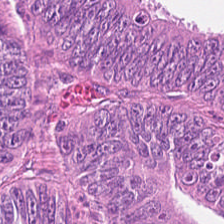Hematoxylin and eosin.
Tissue type — colorectal adenocarcinoma epithelium.
